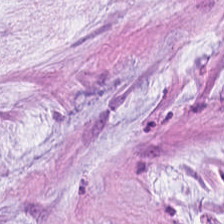H&E — mucin.
